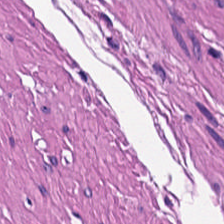224×224 px patch. H&E-stained tissue section. Formalin-fixed paraffin-embedded section. This field is smooth-muscle tissue.
